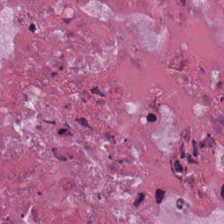H&E — Tissue: necrotic debris.
